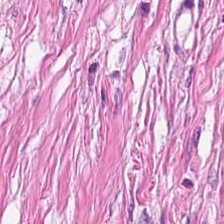FFPE · H&E.
Desmoplastic stroma.
